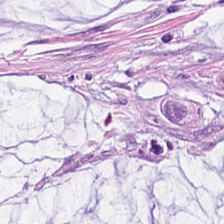H&E-stained tissue section — Finding → mucus.
